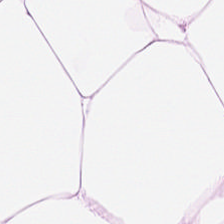The classification is adipocytes.
